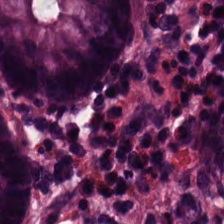H&E-stained tissue section. Q: What tissue type is shown here?
A: Normal colonic mucosa.
